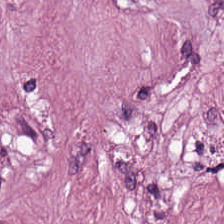H&E — Tumor stroma.
